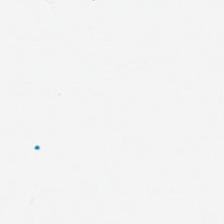Field content — background.
